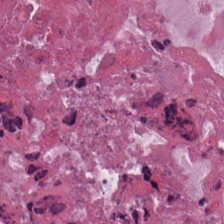H&E — {"tissue_type": "cellular debris"}
